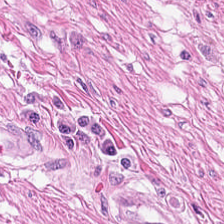WSI patch; formalin-fixed paraffin-embedded section; H&E. Q: What is shown in this field?
A: The field shows smooth muscle.
